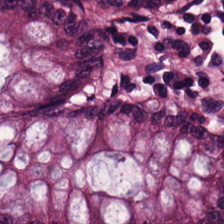This patch shows normal colonic mucosa.
